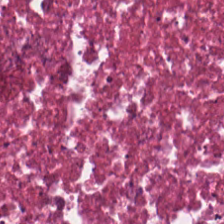Hematoxylin-and-eosin stained section. {"tissue_type": "cellular debris"}
